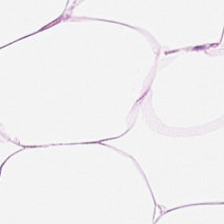H&E-stained tissue section; whole-slide-image patch; 224×224 px tile.
Adipose.
